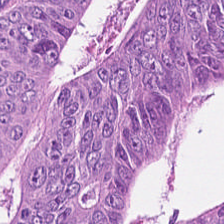Hematoxylin and eosin.
Predominantly malignant epithelium.
